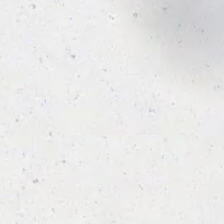0.5 µm/px. Brightfield microscopy. H&E.
Field content: background (no tissue).
